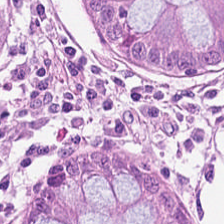Q: Identify the tissue.
A: Normal colonic mucosa.
